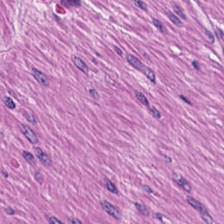Q: Classify this patch.
A: It is smooth muscle.
